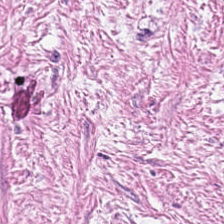Desmoplastic stroma.
